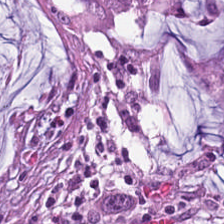Stain: H&E stain.
Tissue type: extracellular mucin.
